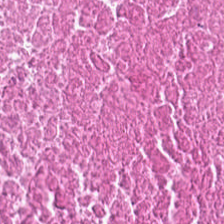H&E-stained tissue section showing cellular debris.
